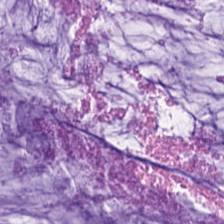FFPE tissue section · WSI patch · H&E-stained tissue section. The tissue class is extracellular mucin.
